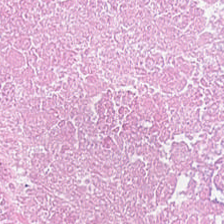H&E stain. Brightfield microscopy.
The tissue here is necrotic debris.
